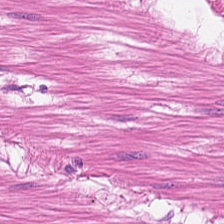Hematoxylin and eosin.
This field is smooth-muscle tissue.
